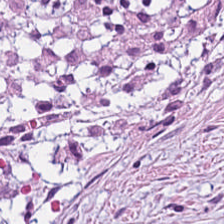Hematoxylin and eosin.
This patch shows desmoplastic stroma.
